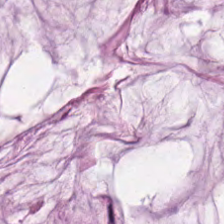H&E stain — Impression — mucus.
